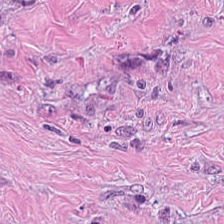H&E stain. The tissue here is desmoplastic stroma.
